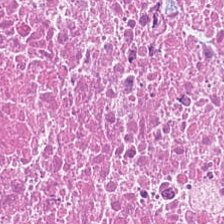0.5 microns per pixel · H&E stain · 224×224 px patch.
Debris.
